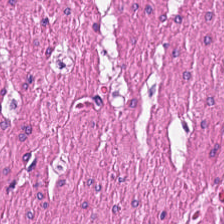Hematoxylin and eosin. FFPE. Predominantly smooth muscle.
